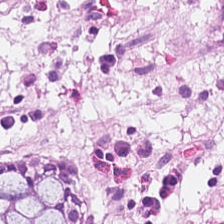Showing normal colon mucosa.
